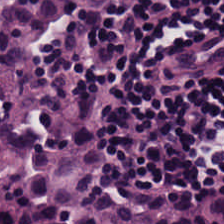H&E.
Finding → lymphocyte aggregate.
